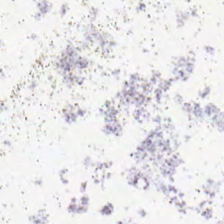Brightfield microscopy. H&E.
Field content = background.
